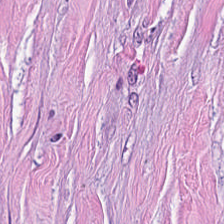Tissue = desmoplastic stroma.
